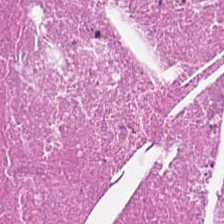Hematoxylin-and-eosin stained section.
Q: What is shown here?
A: Debris.
